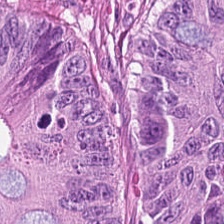H&E stain · whole-slide-image patch — The tissue here is colorectal adenocarcinoma epithelium.
